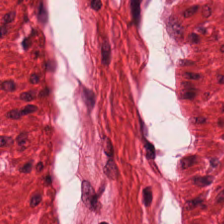WSI patch; hematoxylin and eosin; 20× equivalent magnification.
Impression → smooth-muscle tissue.
